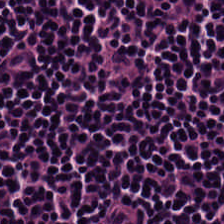Hematoxylin-and-eosin stained section. Showing lymphocytes.
